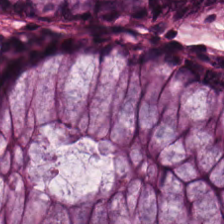H&E-stained tissue section.
The tissue here is normal colonic mucosa.
